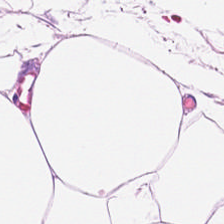0.5 µm/px. H&E stain.
Q: Classify this patch.
A: This is adipose.
